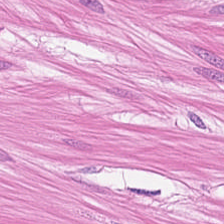Q: Classify this patch.
A: It is smooth muscle.
